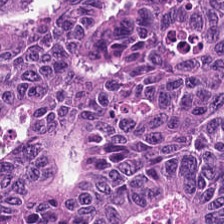Stain: H&E stain.
Predominant tissue: adenocarcinoma.
